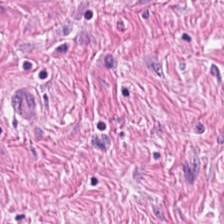Hematoxylin and eosin; 224×224 px tile; FFPE tissue section.
The tissue is smooth-muscle tissue.
